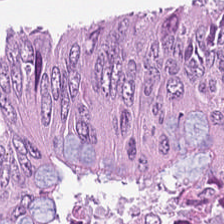Stain: H&E stain.
Tissue type: colorectal adenocarcinoma epithelium.
